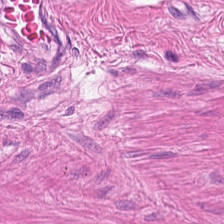0.5 µm per pixel; H&E. This patch shows smooth-muscle tissue.
